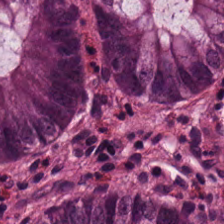H&E. 0.5 microns per pixel. Brightfield — The predominant tissue is normal colon mucosa.
